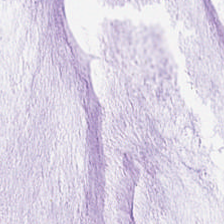224×224 px patch; H&E stain; FFPE — Finding — mucin.
